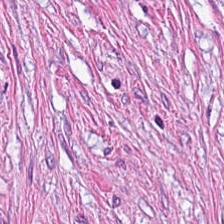Stain: hematoxylin and eosin.
Tissue class: tumor-associated stroma.
